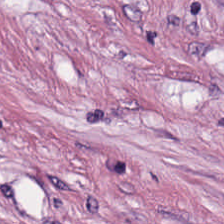Stain: hematoxylin-and-eosin stained section.
Classification: tumor stroma.
